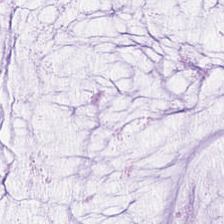{"tissue_type": "mucin"}
